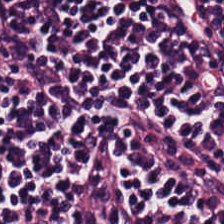Hematoxylin-and-eosin section: lymphocytes.
